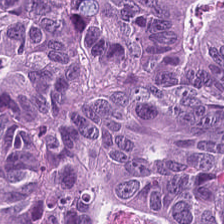Stain: hematoxylin-and-eosin stained section.
Tissue: colorectal adenocarcinoma.
